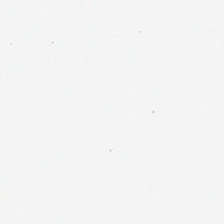H&E stain — This patch shows background (no tissue).
